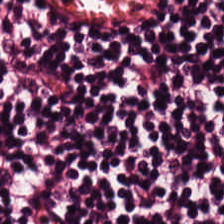Hematoxylin-and-eosin section: lymphocyte aggregate.
